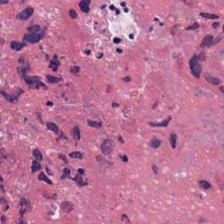Formalin-fixed paraffin-embedded section · 0.5 µm/px · H&E.
The tissue here is debris.
